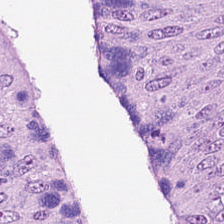Stain: H&E-stained tissue section.
Tile size: 224×224 pixel tile.
Tissue type: adenocarcinoma.
